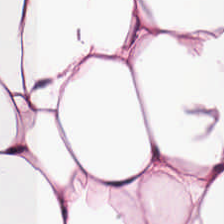Stain: hematoxylin and eosin.
Tile size: 224×224 px tile.
Tissue: adipose tissue.
